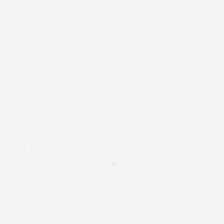Content — no tissue.
